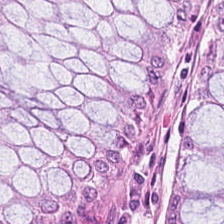Stain: hematoxylin-and-eosin stained section.
Classification: normal colon mucosa.
